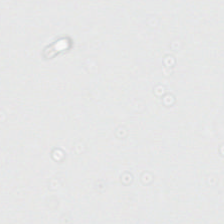H&E-stained tissue section — This field is background (no tissue).
